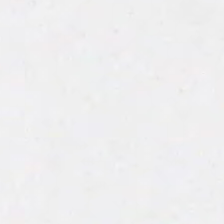H&E. This field is background (no tissue).
